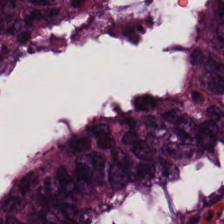H&E-stained tissue section. Histology — adenocarcinoma.
